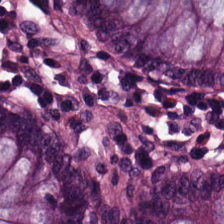Hematoxylin-and-eosin stained section — The classification is normal colon mucosa.
